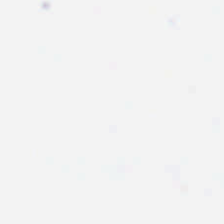This patch shows empty background.
